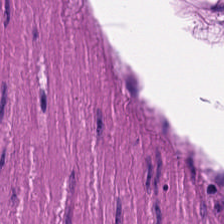H&E-stained tissue section; 0.5 µm per pixel — Predominant tissue: smooth-muscle tissue.
